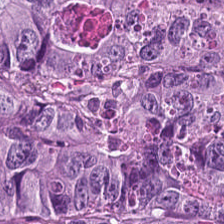Stain: hematoxylin-and-eosin stained section.
Tissue type: tumor epithelium.
